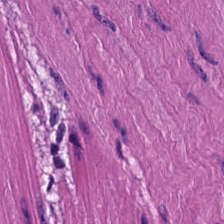Stain: H&E stain.
Predominant tissue: smooth-muscle tissue.
